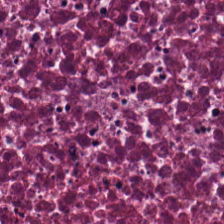Hematoxylin-and-eosin stained section; 224×224 px patch.
Tissue = cellular debris.
